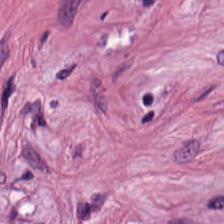Hematoxylin and eosin.
The predominant tissue is tumor-associated stroma.
